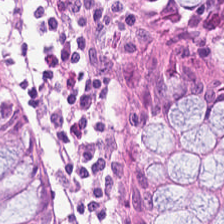H&E-stained tissue section — Finding → non-neoplastic colon mucosa.
